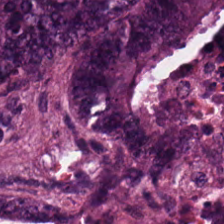H&E. Showing adenocarcinoma.
